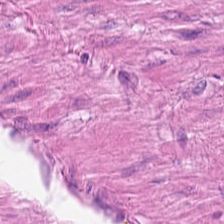Stain: hematoxylin-and-eosin stained section.
Preparation: formalin-fixed paraffin-embedded section.
Tissue class: muscularis.
